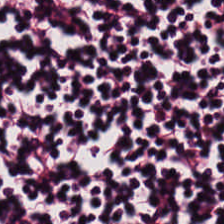H&E.
Impression → lymphocyte aggregate.
